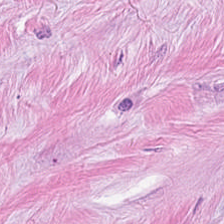FFPE tissue section · WSI patch · H&E stain.
Tissue: tumor stroma.
